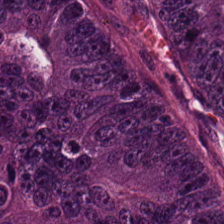Tumor epithelium.
